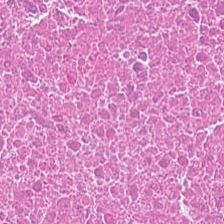Hematoxylin-and-eosin stained section. WSI patch. 224×224 pixel tile.
Histology — necrotic debris.
